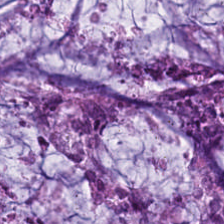Hematoxylin-and-eosin section: mucus.
